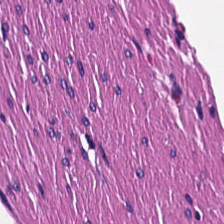FFPE tissue section; brightfield; hematoxylin and eosin — Histology — smooth-muscle tissue.
